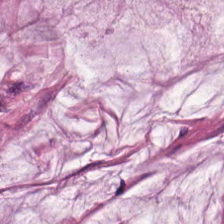Tissue type — mucin.
